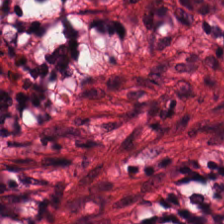20× equivalent magnification · hematoxylin and eosin.
Q: Identify the tissue.
A: Lymphocytic infiltrate.
